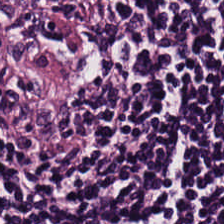Hematoxylin-and-eosin section: lymphoid infiltrate.
